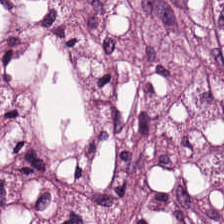Stain: hematoxylin and eosin.
Tissue type: desmoplastic stroma.
